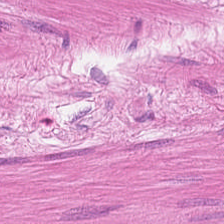FFPE tissue section. H&E — Muscularis.
